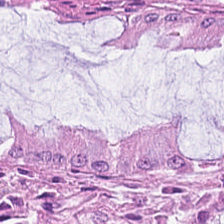H&E.
This field is non-neoplastic colon mucosa.
